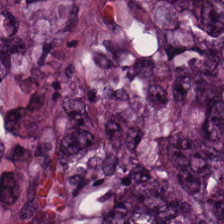FFPE tissue section · hematoxylin and eosin · 224×224 pixel tile. {"tissue_type": "tumor epithelium"}
